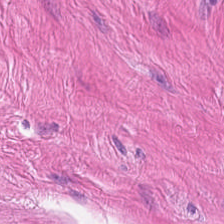Hematoxylin and eosin. {"tissue_type": "muscularis"}
